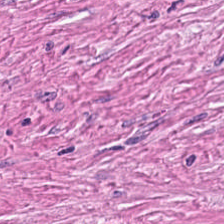Hematoxylin and eosin. Impression → cancer-associated stroma.
